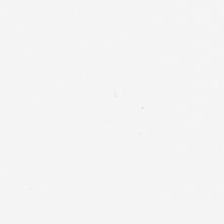H&E-stained tissue section; 0.5 µm per pixel. {"content": "empty background"}
